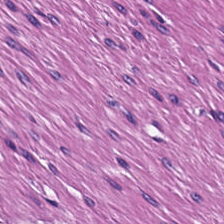Hematoxylin and eosin. Smooth-muscle tissue.
